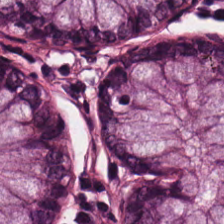H&E-stained tissue section. Q: Classify this patch.
A: It is normal colon mucosa.
